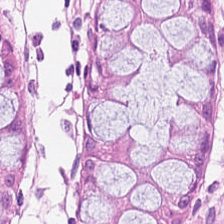WSI patch · H&E-stained tissue section.
This field is benign colonic mucosa.
